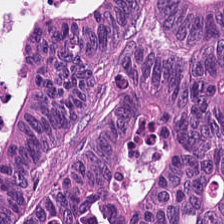H&E; whole-slide-image patch. Showing colorectal adenocarcinoma epithelium.
